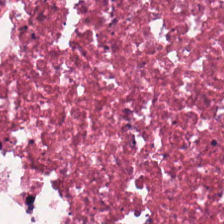H&E-stained tissue section — Tissue type — necrotic debris.
